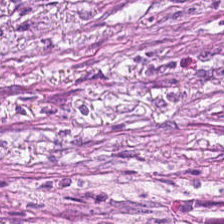Hematoxylin-and-eosin stained section — The tissue here is tumor stroma.
